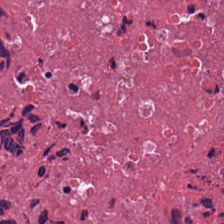Hematoxylin-and-eosin stained section.
Q: What tissue is shown?
A: The field shows cellular debris.
